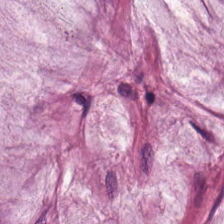Impression → mucus.
